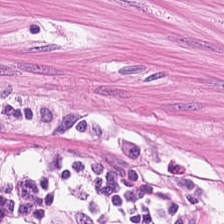H&E. 0.5 µm per pixel. Showing smooth-muscle tissue.
